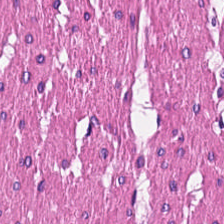Stain: hematoxylin-and-eosin stained section.
Resolution: 0.5 microns per pixel.
Tile size: 224×224 pixel tile.
Classification: muscularis.
